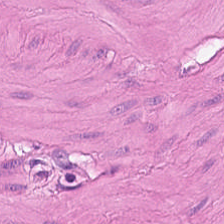Tissue — muscularis.
